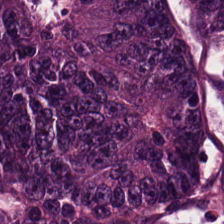Q: What is the predominant tissue type?
A: It is tumor epithelium.
